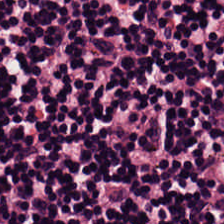Brightfield · 20× equivalent magnification · H&E stain — Q: What is shown in this field?
A: The field shows lymphocyte aggregate.
